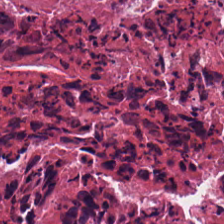Whole-slide-image patch · H&E stain · 0.5 µm/px — Showing necrotic debris.
